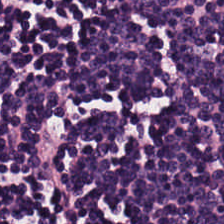H&E-stained tissue section. {"tissue_type": "lymphocytic infiltrate"}
